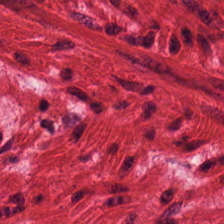0.5 µm per pixel. H&E-stained tissue section — Tissue: smooth muscle.
